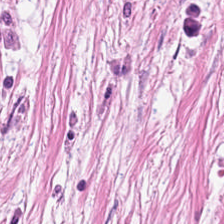224×224 pixel tile. 20× equivalent magnification. H&E stain — Histology → cancer-associated stroma.
